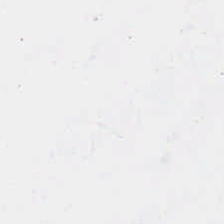H&E stain. Classification: empty background.
